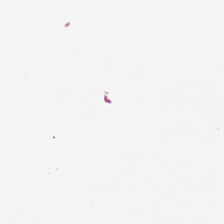Brightfield · H&E — The field content is empty background.
